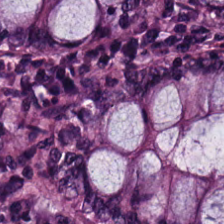0.5 microns per pixel. Hematoxylin-and-eosin stained section.
This field is benign colonic mucosa.
